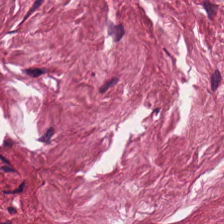Hematoxylin and eosin. 224×224 px tile. Predominantly cancer-associated stroma.
